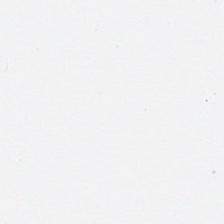H&E-stained tissue section · FFPE tissue section.
Q: What is shown in this field?
A: It is empty background.
